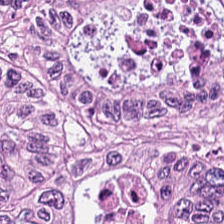H&E stain. 20× equivalent magnification. 224×224 px patch — The classification is colorectal adenocarcinoma.
